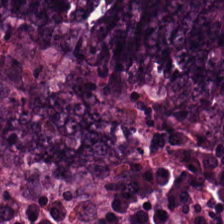H&E-stained tissue section; 0.5 µm/px.
Predominantly tumor epithelium.
